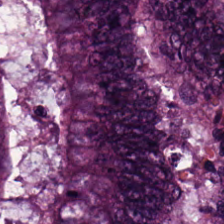H&E — Adenocarcinoma.
